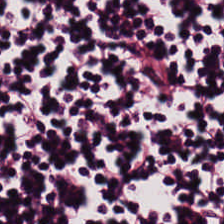Finding → lymphocyte aggregate.
